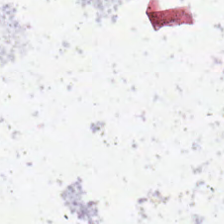H&E — The classification is no tissue.
